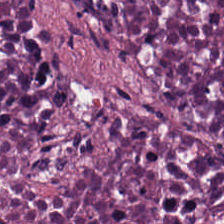224×224 pixel tile. H&E stain. The tissue here is cellular debris.
